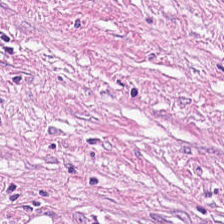Whole-slide-image patch · 20× equivalent magnification · H&E — The tissue here is tumor-associated stroma.
